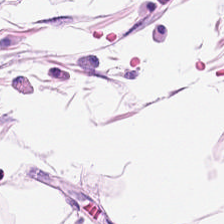H&E stain — Predominantly adipose.
